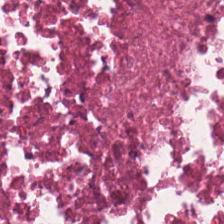H&E · 0.5 microns per pixel · formalin-fixed paraffin-embedded section — Showing debris.
